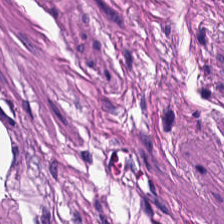H&E — Smooth muscle.
